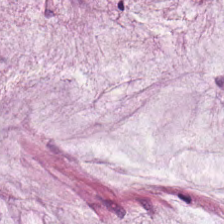Stain: H&E stain.
Tissue type: mucus.
